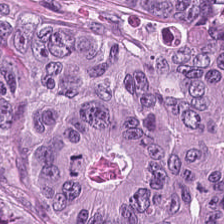Hematoxylin and eosin; 224×224 pixel tile; WSI patch — Q: Identify the tissue.
A: Colorectal adenocarcinoma epithelium.
